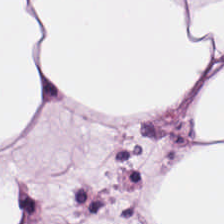Classification: adipocytes.
